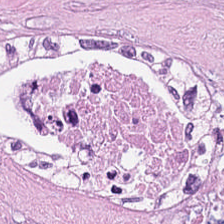224×224 pixel tile · brightfield · hematoxylin-and-eosin stained section — The tissue is necrotic debris.
